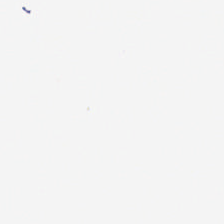Histology — empty background.
